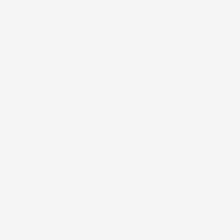H&E-stained tissue section; formalin-fixed paraffin-embedded section. Q: What is shown in this field?
A: This is no tissue.
